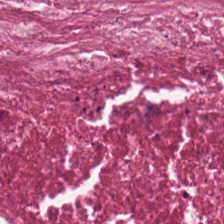H&E-stained tissue section — Predominantly necrotic debris.
